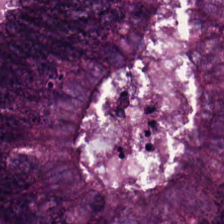Showing tumor epithelium.
